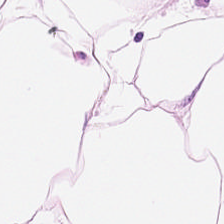H&E stain · 0.5 µm per pixel · 224×224 px tile. Classification: adipose tissue.
